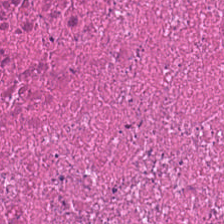Tissue type: debris.
